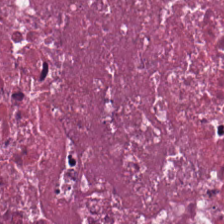Brightfield; H&E stain — Q: What is shown here?
A: Necrotic debris.
